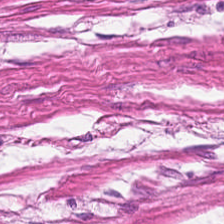H&E stain. 224×224 pixel tile. Whole-slide-image patch.
This field is smooth-muscle tissue.
